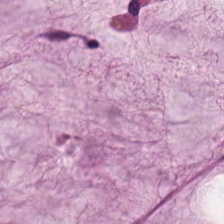H&E stain.
{"tissue_type": "mucin"}
